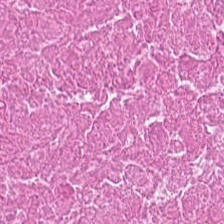The tissue class is necrotic debris.
